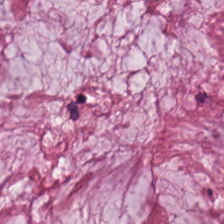H&E stain. {"tissue_type": "mucin"}
